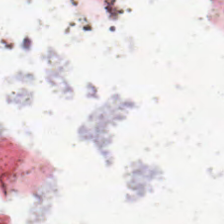224×224 pixel tile. Brightfield microscopy. H&E stain — This field is background (no tissue).
